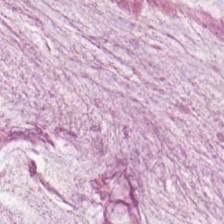{"tissue_type": "extracellular mucin"}
